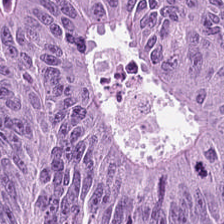This field is colorectal adenocarcinoma.
